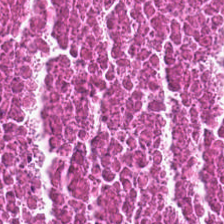0.5 microns per pixel. H&E.
Q: What tissue is shown?
A: It is cellular debris.
